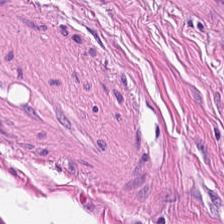Stain: hematoxylin and eosin.
Predominant tissue: smooth muscle.
